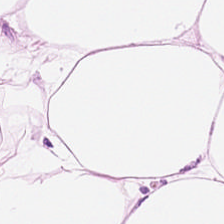H&E — Q: What tissue is shown?
A: This is adipose.
